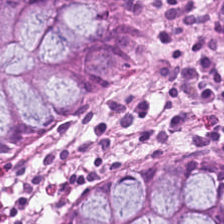Hematoxylin and eosin. Predominantly non-neoplastic colon mucosa.
